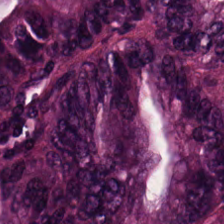Hematoxylin and eosin.
The tissue here is colorectal adenocarcinoma.
